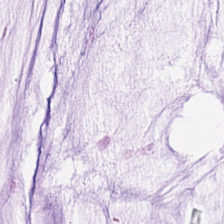Hematoxylin and eosin; brightfield. Impression — mucus.
